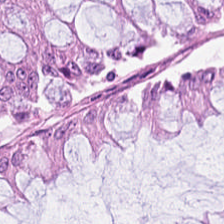H&E · FFPE tissue section.
This field is normal colonic mucosa.
